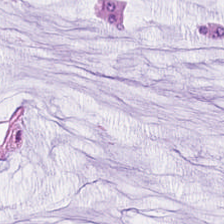H&E-stained tissue section — Predominant tissue: extracellular mucin.
